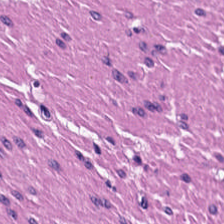Q: What tissue is shown?
A: The field shows smooth-muscle tissue.
